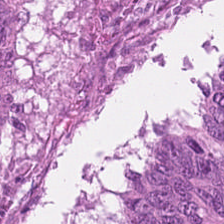FFPE. 224×224 pixel tile. H&E-stained tissue section.
The tissue here is colorectal adenocarcinoma epithelium.
